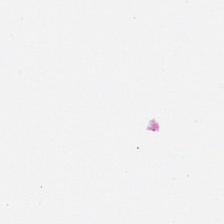Whole-slide-image patch. H&E stain — This field is background (no tissue).
